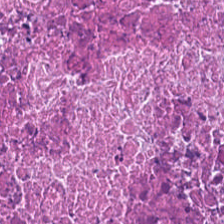H&E. Predominantly debris.
